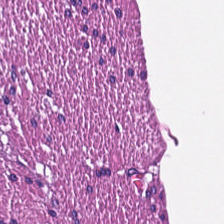H&E stain; 0.5 µm per pixel.
Tissue — muscularis.
